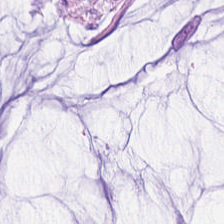Hematoxylin-and-eosin stained section · 224×224 px tile — Q: What type of tissue is this?
A: The field shows mucin.
